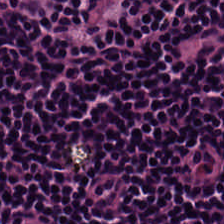224×224 px patch · hematoxylin and eosin — Q: Classify this patch.
A: The field shows lymphoid infiltrate.
